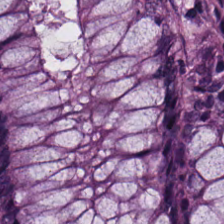H&E-stained tissue section · 0.5 microns per pixel.
The tissue here is normal colonic mucosa.
